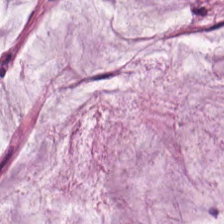Brightfield. 224×224 px tile. Hematoxylin and eosin. Q: What does this patch show?
A: This is extracellular mucin.
